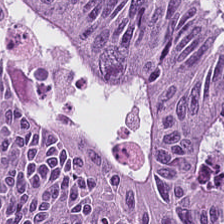Stain: hematoxylin-and-eosin stained section.
Predominant tissue: colorectal adenocarcinoma.
